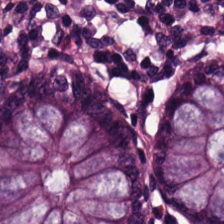Hematoxylin and eosin. Whole-slide-image patch.
This field is normal colonic mucosa.
